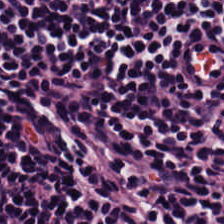H&E-stained tissue section — Predominant tissue = lymphocytic infiltrate.
